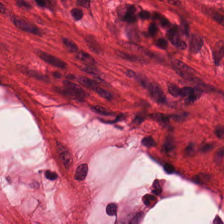H&E.
{"tissue_type": "muscularis"}
